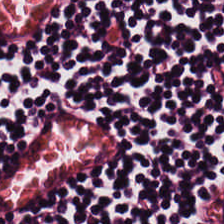The tissue class is lymphocyte aggregate.
